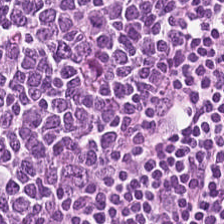H&E stain · FFPE · WSI patch — The tissue type is lymphoid infiltrate.
